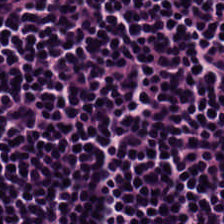Hematoxylin and eosin — Predominantly lymphocyte aggregate.
